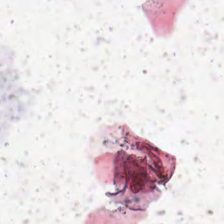Impression → background.
